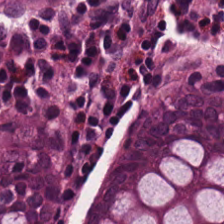H&E. 224×224 px patch. This patch shows benign colonic mucosa.
